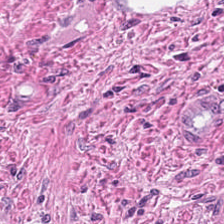Stain: H&E stain.
Tissue type: desmoplastic stroma.
